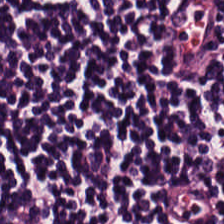H&E-stained tissue section. 224×224 pixel tile — Showing lymphocytes.
